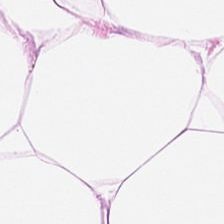Stain: hematoxylin and eosin.
Resolution: 20× equivalent magnification.
Preparation: formalin-fixed paraffin-embedded section.
Predominant tissue: adipose.
